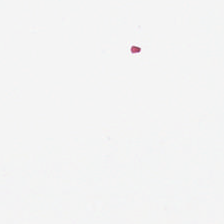Classification = empty background.
